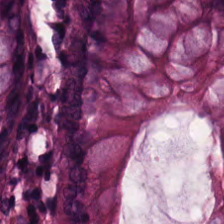H&E stain; 224×224 px patch.
{"tissue_type": "non-neoplastic colon mucosa"}
